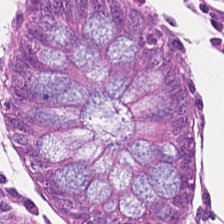Hematoxylin and eosin.
Non-neoplastic colon mucosa.
